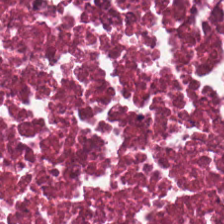Stain: hematoxylin-and-eosin stained section.
Resolution: 20× equivalent magnification.
Tissue: debris.
